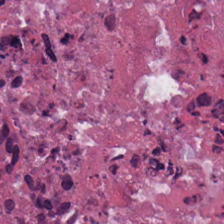0.5 µm per pixel. H&E stain — Classification — debris.
